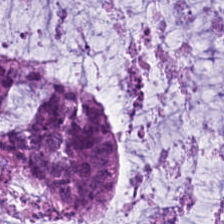Finding → mucus.
